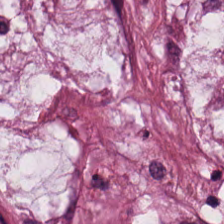Hematoxylin and eosin. The predominant tissue is mucus.
